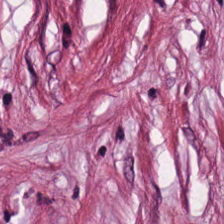H&E. Formalin-fixed paraffin-embedded section. Brightfield — Predominantly tumor stroma.
